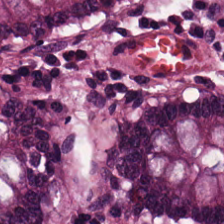Finding → benign colonic mucosa.
